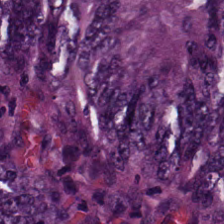H&E stain. Brightfield. This field is colorectal adenocarcinoma.
